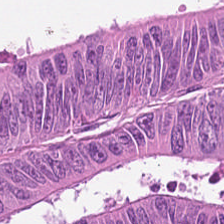Tissue type = malignant epithelium.
